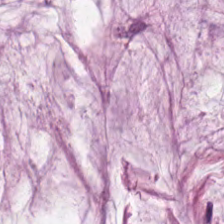Hematoxylin-and-eosin stained section.
This field is mucin.
